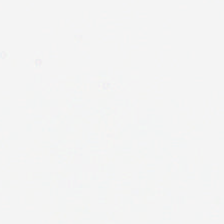Whole-slide-image patch · FFPE tissue section · H&E — Empty background.
